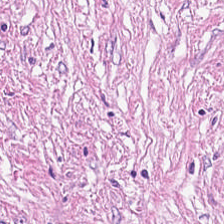H&E-stained tissue section. Tissue class: tumor-associated stroma.
